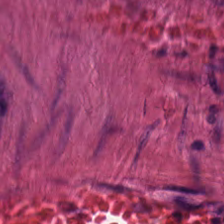Stain: H&E.
Predominant tissue: smooth-muscle tissue.
